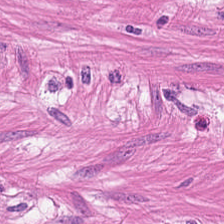H&E stain · formalin-fixed paraffin-embedded section. The predominant tissue is muscularis.
